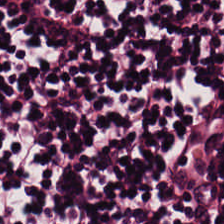H&E stain; 224×224 px patch.
Finding → lymphocytes.
